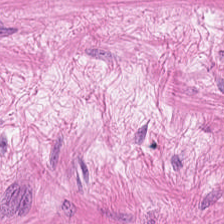Hematoxylin and eosin — Finding → smooth-muscle tissue.
